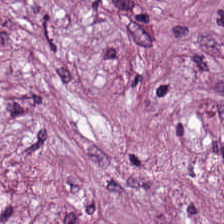Classification — desmoplastic stroma.
